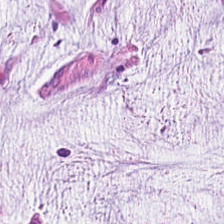H&E stain. This field is mucus.
